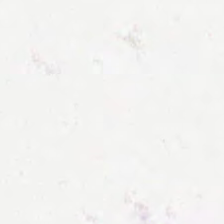Hematoxylin-and-eosin stained section — Q: What does this patch show?
A: This is background.
